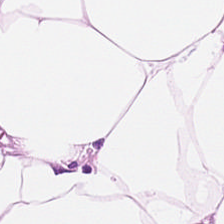Hematoxylin and eosin; 224×224 px patch; WSI patch — {"tissue_type": "fat tissue"}
